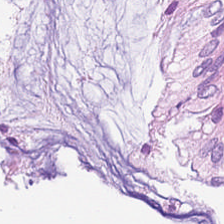Stain: H&E stain.
Resolution: 20× equivalent magnification.
Tissue type: benign colonic mucosa.
